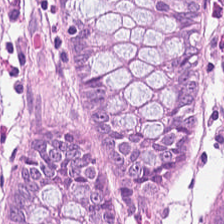H&E stain — Finding → normal colon mucosa.
